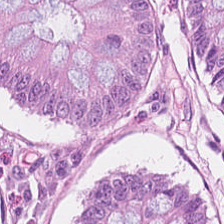Stain: H&E stain.
Preparation: FFPE.
Tissue class: non-neoplastic colon mucosa.
